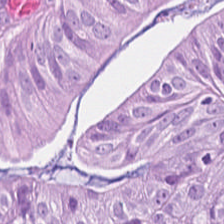Hematoxylin-and-eosin stained section — Tissue class = adenocarcinoma.
